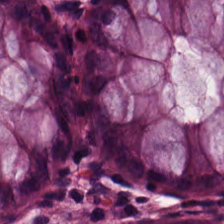H&E-stained tissue section — The tissue type is normal colon mucosa.
